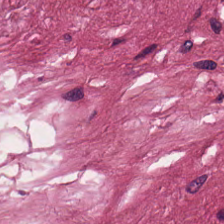H&E-stained tissue section. This field is desmoplastic stroma.
